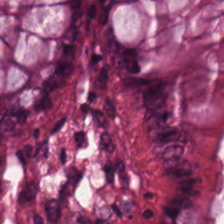Hematoxylin-and-eosin stained section. This field is benign colonic mucosa.
